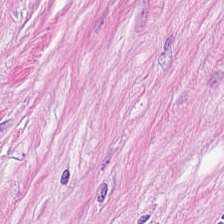224×224 pixel tile. H&E — The tissue here is desmoplastic stroma.
